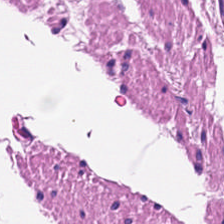H&E-stained tissue section.
This patch shows smooth-muscle tissue.
